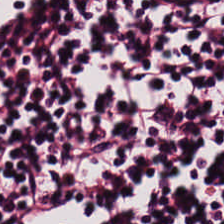FFPE. H&E-stained tissue section — Predominantly lymphocyte aggregate.
